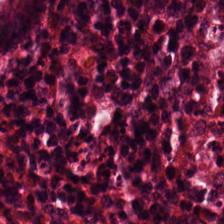224×224 px patch; H&E stain — Predominantly benign colonic mucosa.
